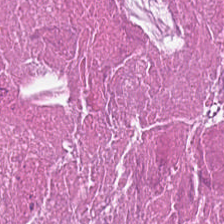H&E-stained tissue section. Q: What is the predominant tissue type?
A: This is necrotic debris.
